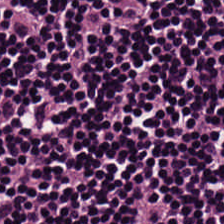H&E · FFPE · whole-slide-image patch.
Showing lymphocytes.
